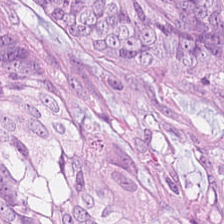0.5 microns per pixel · hematoxylin and eosin. Tissue class — adenocarcinoma.
